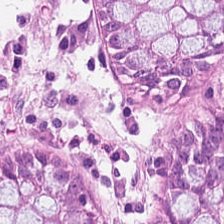H&E stain.
The predominant tissue is non-neoplastic colon mucosa.
